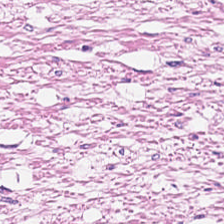Formalin-fixed paraffin-embedded section; hematoxylin and eosin. The tissue is muscularis.
